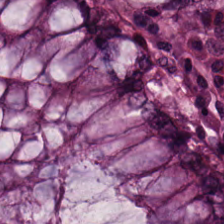H&E-stained tissue section. Brightfield microscopy. 0.5 µm per pixel.
Tissue: non-neoplastic colon mucosa.
